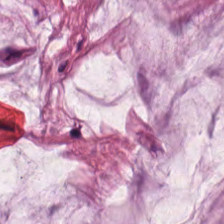H&E-stained tissue section. Mucin.
